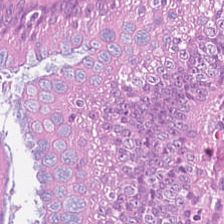Histology — colorectal adenocarcinoma epithelium.
